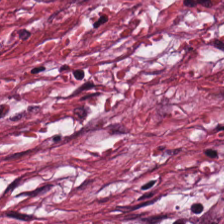H&E; FFPE.
The tissue here is tumor stroma.
